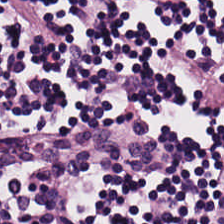Hematoxylin and eosin.
Q: What tissue is shown?
A: It is lymphocytic infiltrate.
